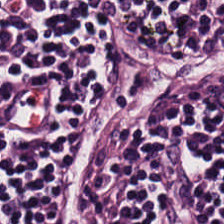Hematoxylin-and-eosin stained section.
Classification — lymphocyte aggregate.
